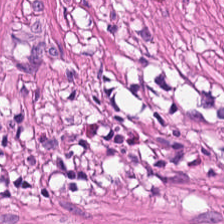20× equivalent magnification · hematoxylin and eosin.
Classification — muscularis.
